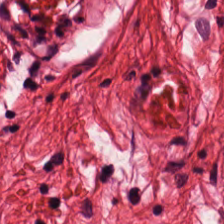H&E-stained tissue section — Classification = smooth muscle.
